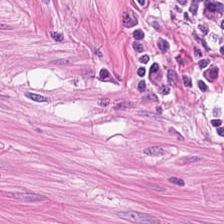H&E — muscularis.
